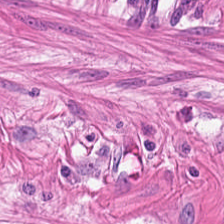H&E-stained tissue section showing smooth muscle.
